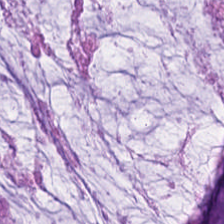H&E-stained tissue section · brightfield microscopy · formalin-fixed paraffin-embedded section. Q: Identify the tissue.
A: It is mucin.
